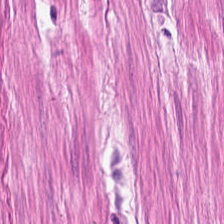Q: What does this patch show?
A: Smooth muscle.
